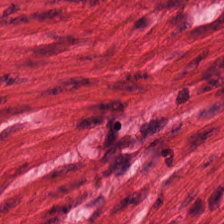H&E-stained tissue section. 224×224 px tile — Smooth muscle.
